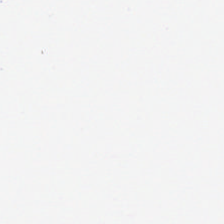Hematoxylin and eosin. Field content: background (no tissue).
